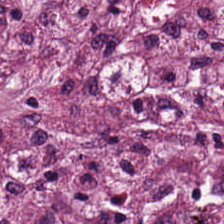0.5 microns per pixel; H&E stain — Q: What is shown here?
A: The field shows tumor stroma.
